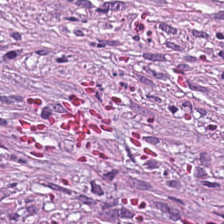The tissue here is tumor-associated stroma.
